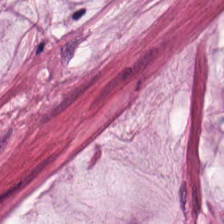Tissue type — mucus.
